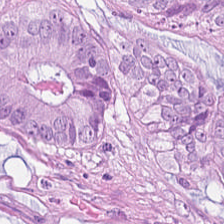Hematoxylin-and-eosin stained section; 0.5 microns per pixel; formalin-fixed paraffin-embedded section — Histology — malignant epithelium.
